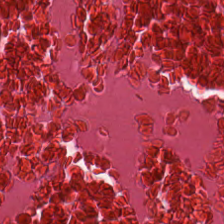{"tissue_type": "cellular debris"}
